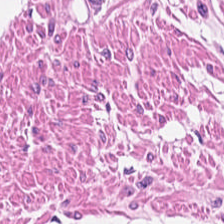Hematoxylin and eosin · 0.5 µm per pixel — The tissue is smooth muscle.
